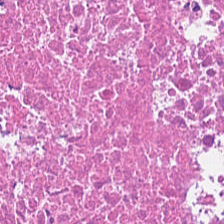Hematoxylin-and-eosin stained section.
Tissue class — debris.
